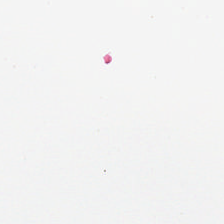Stain: H&E-stained tissue section.
Resolution: 0.5 µm/px.
Acquisition: brightfield.
Field content: background.
